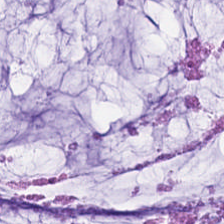Showing mucus.
